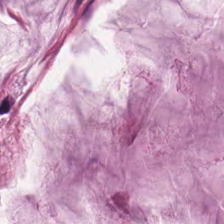Hematoxylin-and-eosin stained section.
The predominant tissue is mucin.
